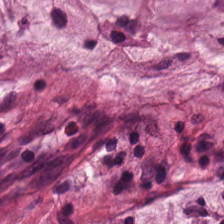{"tissue_type": "mucin"}
